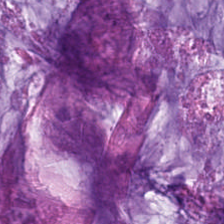Predominant tissue — extracellular mucin.
